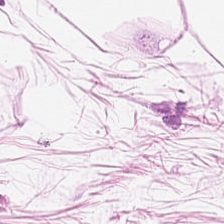0.5 µm/px. H&E. {"tissue_type": "fat tissue"}
